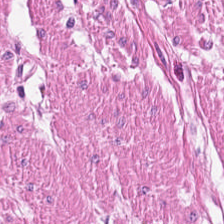0.5 microns per pixel · FFPE tissue section · hematoxylin and eosin. This field is smooth-muscle tissue.
